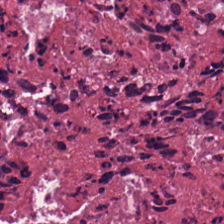Stain: hematoxylin and eosin.
Tissue type: necrotic debris.
